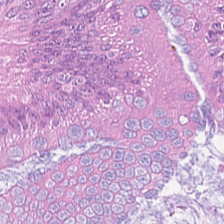Tissue class: colorectal adenocarcinoma.
